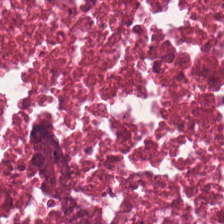H&E stain; whole-slide-image patch — Q: Classify this patch.
A: Cellular debris.
